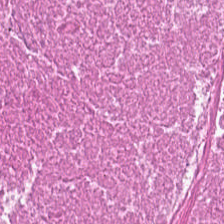Hematoxylin and eosin — Q: What is shown in this field?
A: Necrotic debris.
